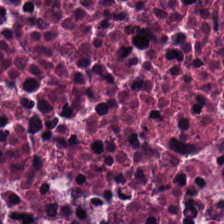H&E stain. 224×224 px patch. Formalin-fixed paraffin-embedded section. Predominantly debris.
